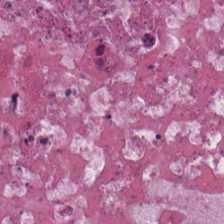H&E stain. Brightfield microscopy.
Predominantly debris.
